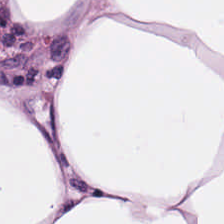Impression → adipose.
